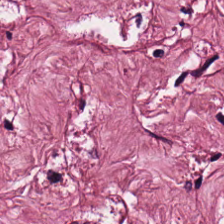{"tissue_type": "tumor stroma"}
